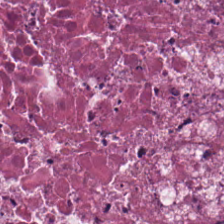H&E — cellular debris.
